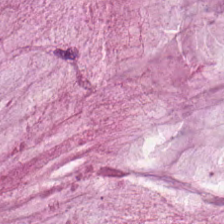{"tissue_type": "mucus"}
